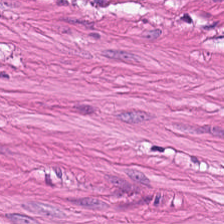H&E — Predominant tissue — smooth muscle.
